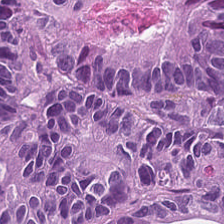Hematoxylin and eosin · brightfield · 224×224 px patch. Predominant tissue: colorectal adenocarcinoma.
